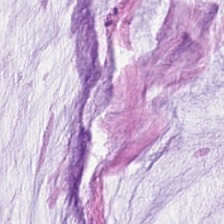H&E stain. {"tissue_type": "mucus"}
